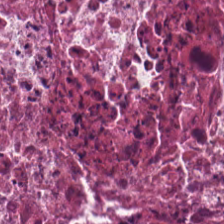Tissue type: necrotic debris.
